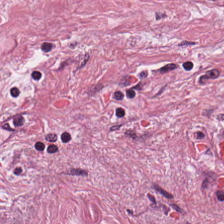The tissue here is desmoplastic stroma.
